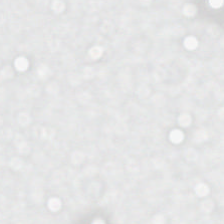This patch shows background (no tissue).
